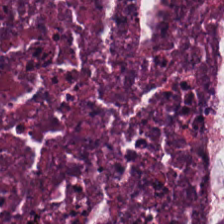Hematoxylin-and-eosin stained section.
Tissue type — cellular debris.
